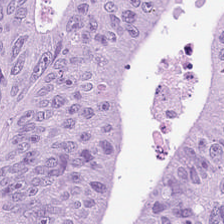Hematoxylin-and-eosin stained section — Tissue class — colorectal adenocarcinoma.
